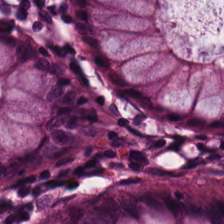H&E-stained tissue section; 224×224 px tile — Showing benign colonic mucosa.
